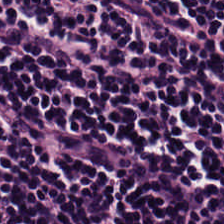H&E stain. Predominant tissue: lymphoid infiltrate.
